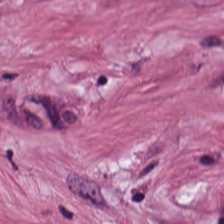Tissue — cancer-associated stroma.
